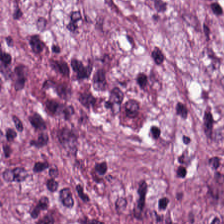H&E-stained tissue section. Predominant tissue = tumor stroma.
